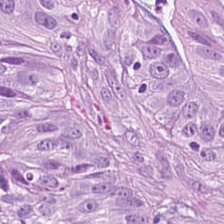H&E stain — This patch shows adenocarcinoma.
